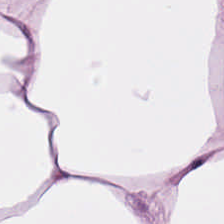Formalin-fixed paraffin-embedded section · H&E stain · 224×224 px tile. Predominant tissue — adipocytes.
